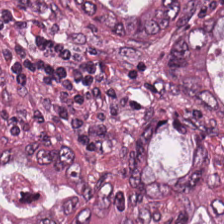The predominant tissue is malignant epithelium.
